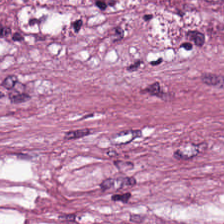Stain: H&E stain.
Preparation: formalin-fixed paraffin-embedded section.
Tissue class: desmoplastic stroma.
